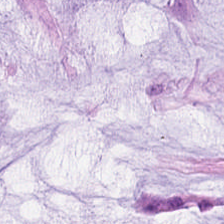H&E — Q: What type of tissue is this?
A: Mucus.
